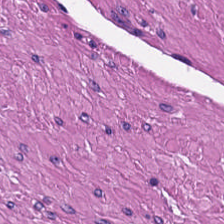Stain: hematoxylin and eosin.
Resolution: 20× equivalent magnification.
Preparation: formalin-fixed paraffin-embedded section.
Classification: smooth-muscle tissue.
